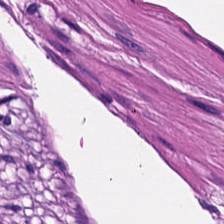Classification = smooth-muscle tissue.
